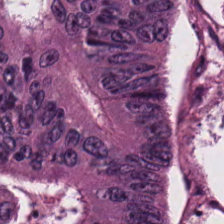Colorectal adenocarcinoma epithelium.
